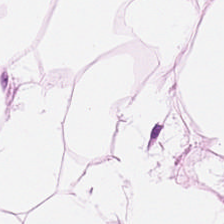Stain: H&E stain.
Tissue class: adipose tissue.
